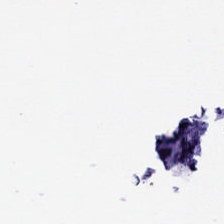Background.
